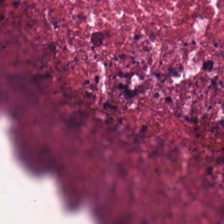Tissue class = necrotic debris.
